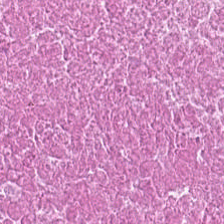Whole-slide-image patch; H&E stain.
The predominant tissue is debris.
